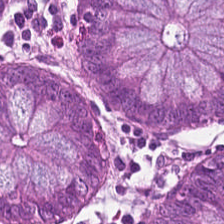Stain: hematoxylin and eosin.
Tile size: 224×224 px tile.
Tissue: normal colonic mucosa.
